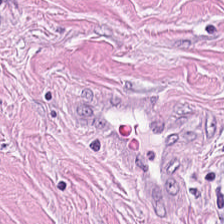Stain: hematoxylin-and-eosin stained section.
Classification: tumor-associated stroma.
